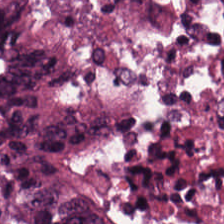H&E stain — The tissue here is colorectal adenocarcinoma epithelium.
